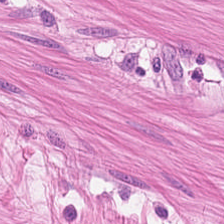H&E stain — Smooth-muscle tissue.
